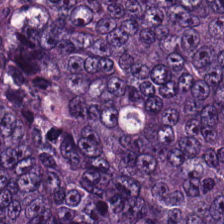Stain: H&E stain.
Tissue: colorectal adenocarcinoma.
